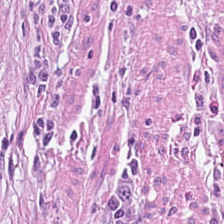0.5 µm/px; H&E-stained tissue section.
Impression → cancer-associated stroma.
